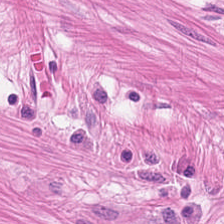H&E-stained tissue section.
Predominantly smooth muscle.
